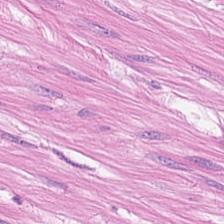Hematoxylin and eosin.
Tissue type = muscularis.
